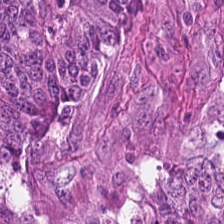Hematoxylin-and-eosin stained section.
The tissue here is colorectal adenocarcinoma.
